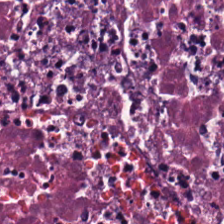H&E. Showing necrotic debris.
